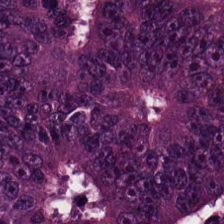Finding — malignant epithelium.
